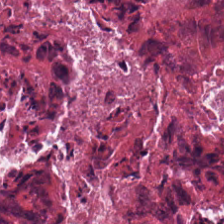FFPE tissue section; hematoxylin-and-eosin stained section — Tissue = debris.
